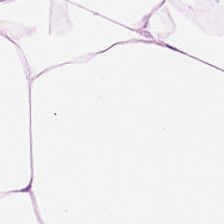{"tissue_type": "adipose tissue"}
